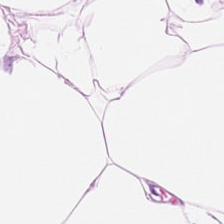Hematoxylin-and-eosin stained section. This patch shows fat tissue.
